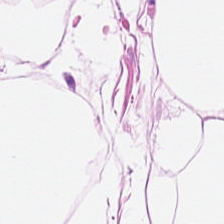Stain: hematoxylin and eosin.
Classification: adipose tissue.
